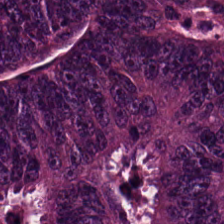H&E.
Q: Identify the tissue.
A: It is malignant epithelium.
